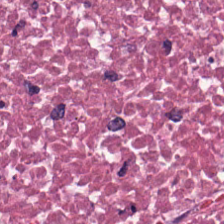H&E stain; FFPE; 0.5 µm per pixel. Q: Classify this patch.
A: Debris.
